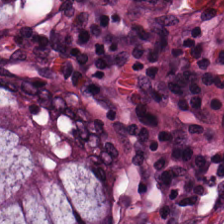Classification: non-neoplastic colon mucosa.
